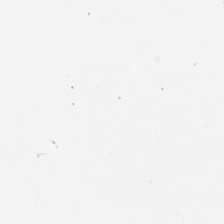Hematoxylin and eosin — Q: Classify this patch.
A: This is background (no tissue).
